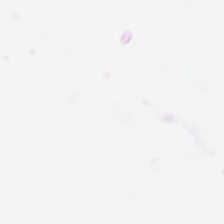Empty field — background.
